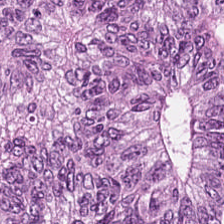Brightfield microscopy. H&E stain. Tumor epithelium.
